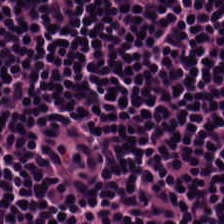Q: What tissue is shown?
A: This is lymphocytes.
